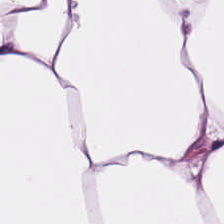The classification is adipocytes.
